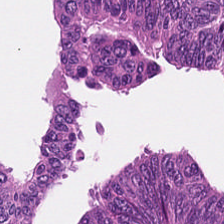0.5 microns per pixel; 224×224 px tile; H&E — Predominantly colorectal adenocarcinoma.
